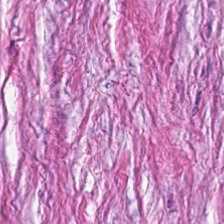224×224 px patch. H&E. The predominant tissue is tumor-associated stroma.
